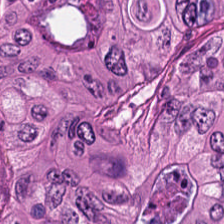Tissue = malignant epithelium.
